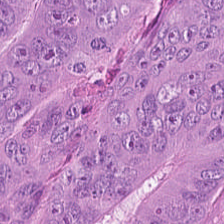Hematoxylin-and-eosin stained section; WSI patch — Predominantly malignant epithelium.
